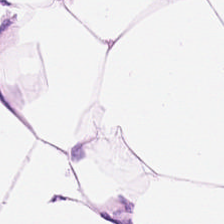Stain: H&E stain.
Tissue: adipocytes.
